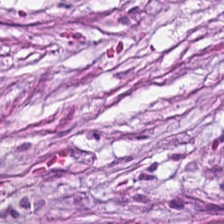Q: Classify this patch.
A: This is tumor stroma.
